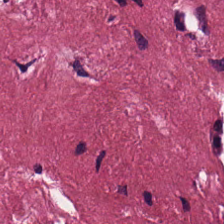224×224 px patch. H&E stain — Tissue — tumor stroma.
